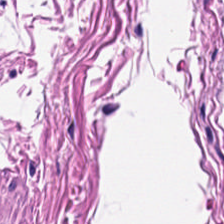Hematoxylin-and-eosin stained section. Tissue class — smooth muscle.
